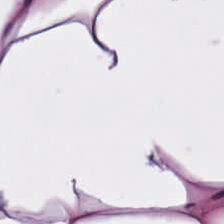H&E-stained tissue section · 0.5 µm per pixel.
Tissue class: adipocytes.
